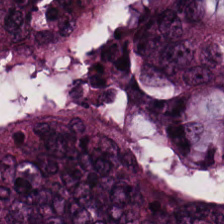Hematoxylin and eosin; 224×224 px tile. Classification: tumor epithelium.
